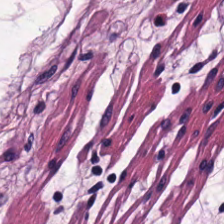The classification is muscularis.
